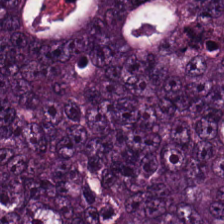H&E stain — Predominantly malignant epithelium.
